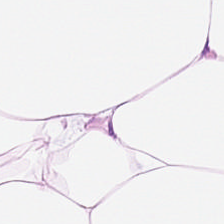Stain: H&E.
Tile size: 224×224 px patch.
Predominant tissue: fat tissue.
